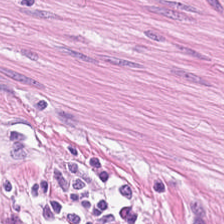Hematoxylin-and-eosin stained section.
Q: What tissue is shown?
A: This is smooth-muscle tissue.
